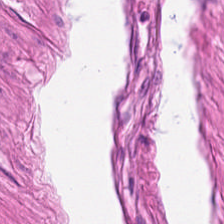H&E · formalin-fixed paraffin-embedded section — Q: What tissue is shown?
A: The field shows smooth muscle.
